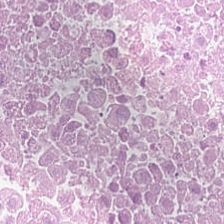H&E stain — Cellular debris.
